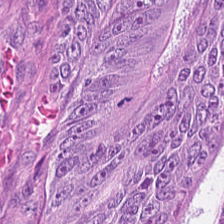Tissue type = colorectal adenocarcinoma epithelium.
